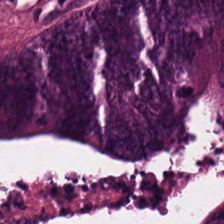Hematoxylin-and-eosin stained section · 0.5 microns per pixel.
The tissue here is colorectal adenocarcinoma.
